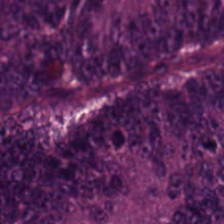Q: What tissue is shown?
A: The field shows colorectal adenocarcinoma epithelium.
